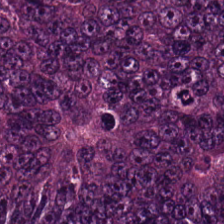Whole-slide-image patch; hematoxylin-and-eosin stained section. Histology — colorectal adenocarcinoma.
